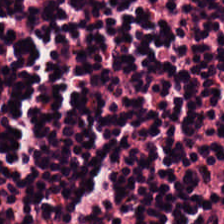Stain: H&E.
Predominant tissue: lymphoid infiltrate.
